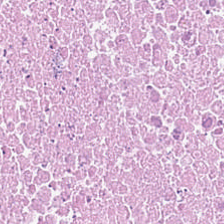Brightfield · hematoxylin and eosin — Debris.
